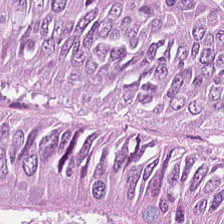Hematoxylin-and-eosin stained section. The predominant tissue is adenocarcinoma.
